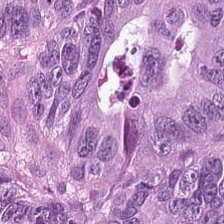Impression — adenocarcinoma.
